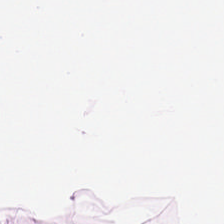Stain: hematoxylin and eosin.
Resolution: 0.5 microns per pixel.
Tissue class: adipocytes.
